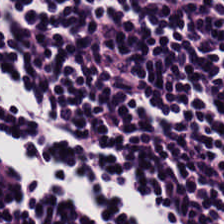0.5 µm/px. H&E-stained tissue section — The predominant tissue is lymphoid infiltrate.
